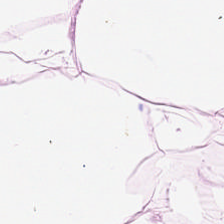Hematoxylin and eosin.
Predominant tissue — adipose tissue.
